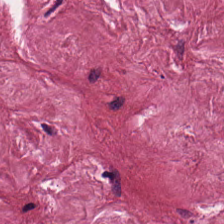Tissue type — tumor-associated stroma.
